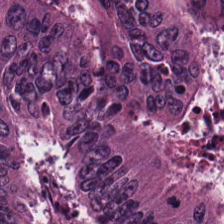H&E stain. Histology — colorectal adenocarcinoma epithelium.
